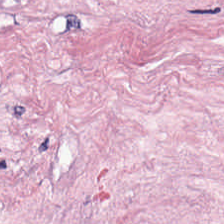Hematoxylin and eosin. The predominant tissue is cancer-associated stroma.
